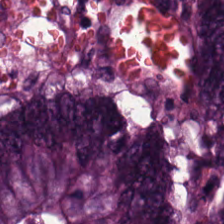FFPE tissue section; 20× equivalent magnification; hematoxylin and eosin.
Tissue class: malignant epithelium.
